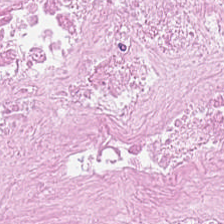Hematoxylin-and-eosin stained section · 0.5 µm per pixel — Showing necrotic debris.
